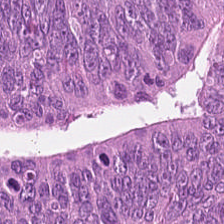H&E; brightfield microscopy.
Q: What does this patch show?
A: It is colorectal adenocarcinoma epithelium.
